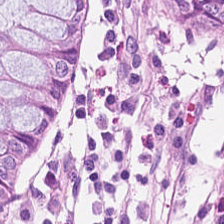Brightfield microscopy · hematoxylin-and-eosin stained section.
Q: What does this patch show?
A: The field shows non-neoplastic colon mucosa.
